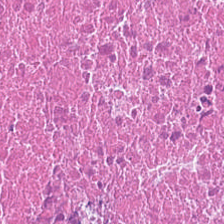20× equivalent magnification. Hematoxylin-and-eosin stained section. Q: Identify the tissue.
A: The field shows cellular debris.
